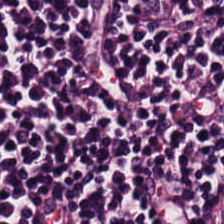H&E — Q: What tissue is shown?
A: This is lymphocyte aggregate.
